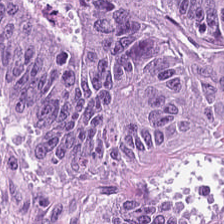Stain: H&E-stained tissue section.
Preparation: formalin-fixed paraffin-embedded section.
Tissue class: colorectal adenocarcinoma.
